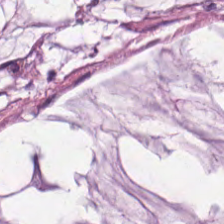Predominantly mucus.
